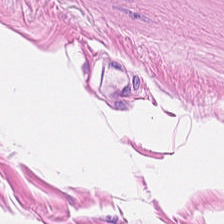20× equivalent magnification. Hematoxylin and eosin.
This field is smooth muscle.
